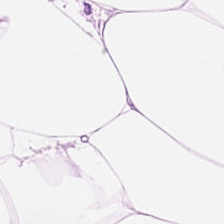Adipose tissue.
